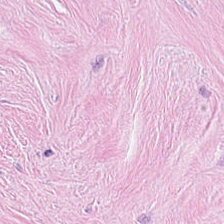H&E; 0.5 microns per pixel; FFPE tissue section. This field is tumor stroma.
